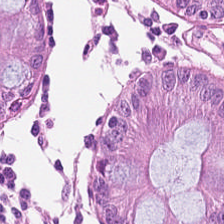Hematoxylin and eosin · brightfield.
Impression — normal colonic mucosa.
